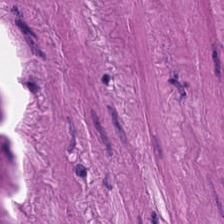H&E stain — Predominant tissue = muscularis.
